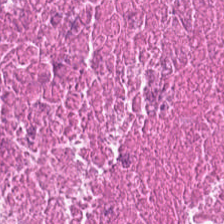H&E. Tissue class = necrotic debris.
